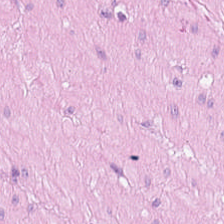WSI patch; 224×224 pixel tile; hematoxylin-and-eosin stained section.
The predominant tissue is muscularis.
